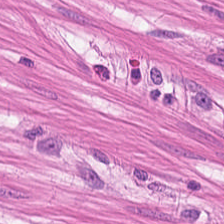H&E-stained tissue section. Classification: muscularis.
